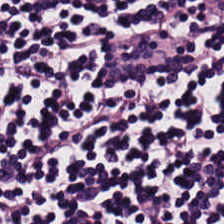H&E-stained tissue section — Finding → lymphoid infiltrate.
